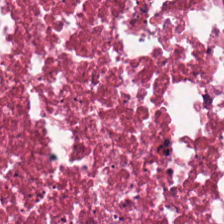Hematoxylin and eosin. 0.5 µm per pixel. Q: Classify this patch.
A: The field shows debris.
